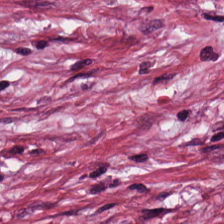Hematoxylin-and-eosin stained section. 224×224 pixel tile.
Showing tumor-associated stroma.
